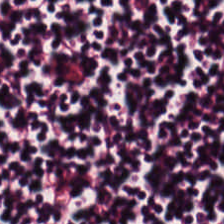H&E stain · WSI patch. Q: What is shown in this field?
A: This is lymphocytic infiltrate.
